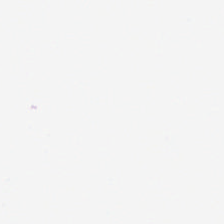H&E. 224×224 pixel tile. WSI patch — Content — no tissue.
